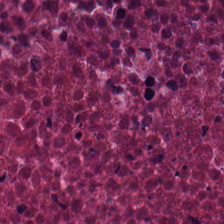H&E-stained tissue section. Formalin-fixed paraffin-embedded section.
The predominant tissue is cellular debris.
